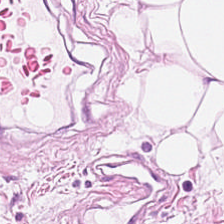H&E-stained tissue section; 224×224 px tile; FFPE.
Tissue class: fat tissue.
